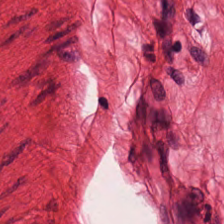Stain: H&E stain.
Tissue: smooth-muscle tissue.
